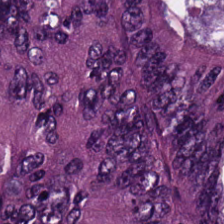FFPE tissue section · H&E-stained tissue section — Q: Classify this patch.
A: It is malignant epithelium.
